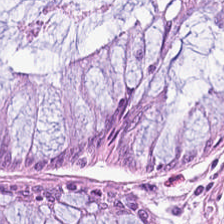FFPE. 224×224 pixel tile. Hematoxylin and eosin. Q: What is the predominant tissue type?
A: This is normal colon mucosa.
